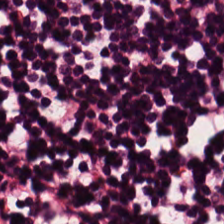Finding — lymphocytes.
